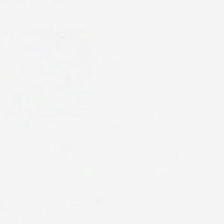H&E.
This patch shows no tissue.
